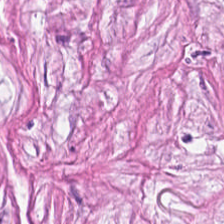Hematoxylin-and-eosin stained section.
The predominant tissue is tumor-associated stroma.
